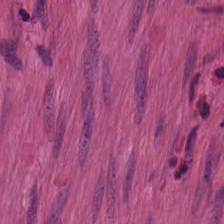The tissue type is smooth muscle.
